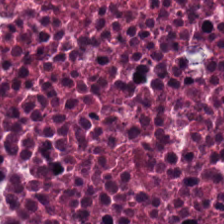FFPE tissue section. H&E stain — Tissue type = cellular debris.
